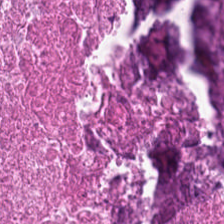H&E stain — Histology → cellular debris.
